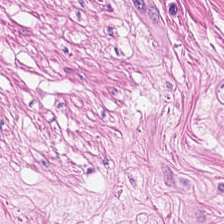FFPE. H&E-stained tissue section. 224×224 px patch — Tissue class = smooth-muscle tissue.
